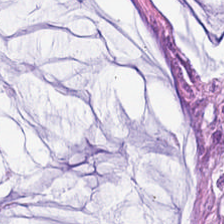H&E stain.
Predominantly extracellular mucin.
